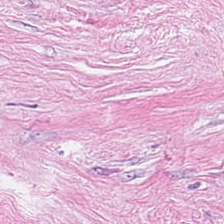H&E stain.
Impression → tumor-associated stroma.
